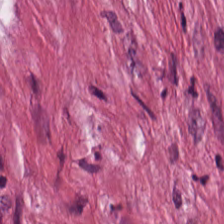FFPE. Hematoxylin and eosin. WSI patch. Finding — tumor-associated stroma.
